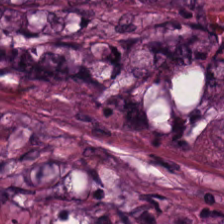The tissue class is malignant epithelium.
